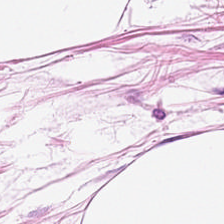Stain: H&E-stained tissue section.
Tissue type: adipose tissue.
